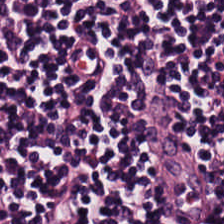Stain: hematoxylin and eosin.
Tissue type: lymphocytes.
